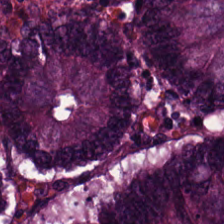H&E — The predominant tissue is colorectal adenocarcinoma.
